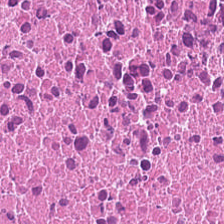0.5 µm per pixel; 224×224 pixel tile; hematoxylin and eosin. The tissue here is cellular debris.
